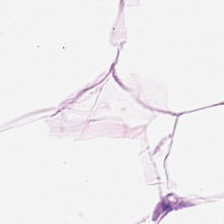H&E-stained tissue section · formalin-fixed paraffin-embedded section. Tissue: adipose.
